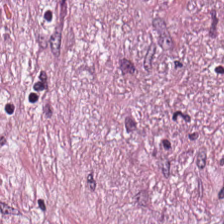H&E — Predominant tissue: tumor-associated stroma.
